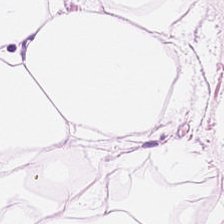H&E-stained tissue section.
The tissue type is adipose.
